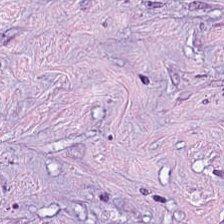FFPE tissue section · H&E-stained tissue section — Tissue — desmoplastic stroma.
